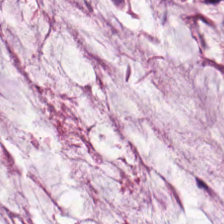224×224 px patch; 0.5 µm/px; H&E stain. Classification: mucus.
